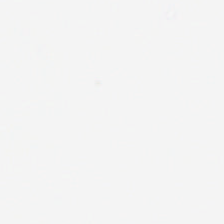H&E stain — Content = no tissue.
